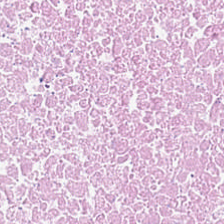H&E stain. This patch shows necrotic debris.
